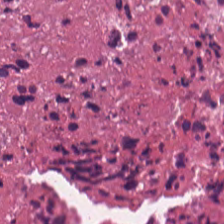Hematoxylin-and-eosin stained section; 0.5 microns per pixel. Q: What does this patch show?
A: This is cellular debris.
